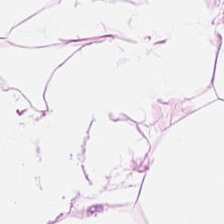Classification — adipose tissue.
